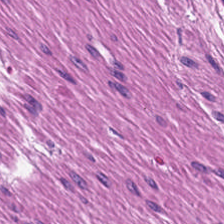H&E-stained tissue section — Muscularis.
